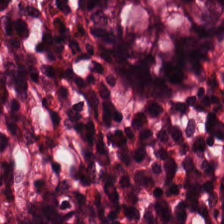Hematoxylin and eosin · 0.5 µm/px · whole-slide-image patch.
Histology — normal colonic mucosa.
